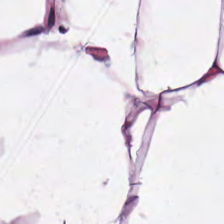Brightfield microscopy. H&E-stained tissue section. 224×224 px patch — Classification: adipose tissue.
